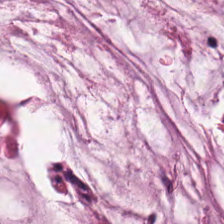H&E-stained tissue section — Q: Classify this patch.
A: This is mucus.
